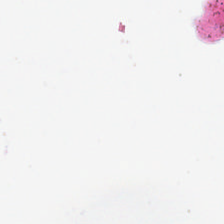H&E.
This field is background (no tissue).
